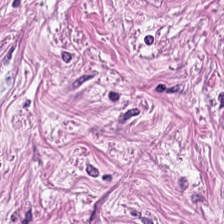Q: What does this patch show?
A: The field shows tumor stroma.
